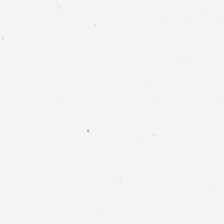H&E-stained tissue section.
Classification: background.
